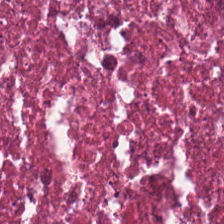Brightfield microscopy · H&E stain. Classification: necrotic debris.
